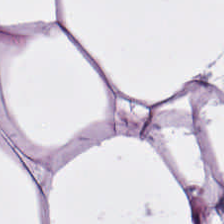Histology → adipocytes.
